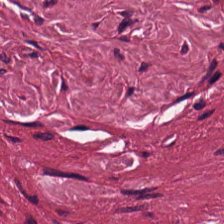Hematoxylin-and-eosin stained section — Q: Identify the tissue.
A: This is tumor stroma.
